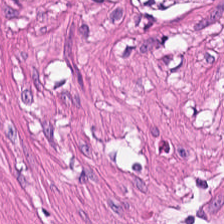Stain: H&E stain.
Classification: muscularis.
